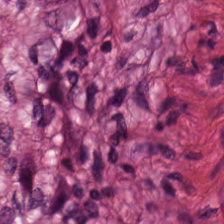H&E stain.
Impression — smooth-muscle tissue.
